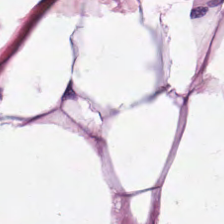H&E-stained tissue section. This patch shows adipocytes.
